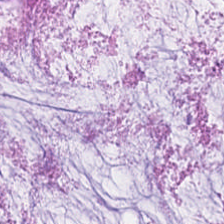Stain: H&E stain.
Predominant tissue: mucin.
